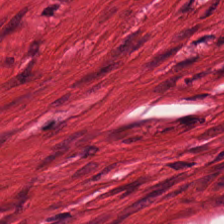Hematoxylin-and-eosin stained section · brightfield · FFPE tissue section — Q: What tissue is shown?
A: It is smooth muscle.
